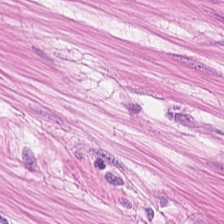Stain: hematoxylin-and-eosin stained section.
Predominant tissue: muscularis.
